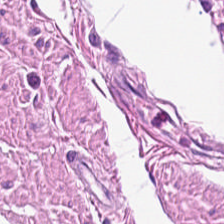Classification — smooth muscle.
